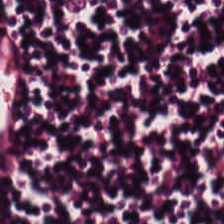20× equivalent magnification · hematoxylin and eosin · FFPE. Predominantly lymphoid infiltrate.
